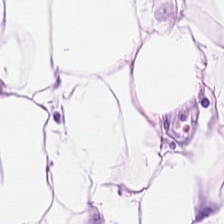H&E.
Q: What does this patch show?
A: Adipocytes.
